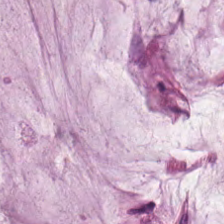FFPE tissue section; H&E. Q: Classify this patch.
A: It is mucin.
